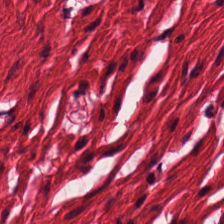Hematoxylin-and-eosin stained section · FFPE. Predominant tissue: smooth muscle.
